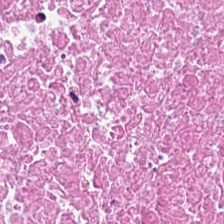Stain: H&E-stained tissue section.
Resolution: 20× equivalent magnification.
Acquisition: brightfield.
Predominant tissue: necrotic debris.
